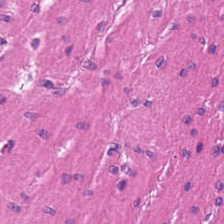H&E-stained tissue section — This field is smooth muscle.
